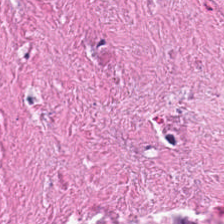{"tissue_type": "necrotic debris"}
